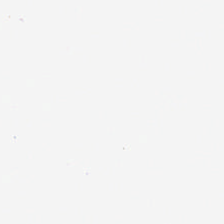Finding → no tissue.
